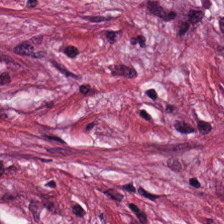Finding — tumor-associated stroma.
